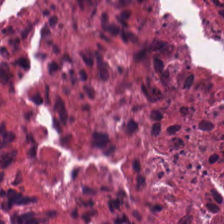Hematoxylin-and-eosin stained section.
Impression — necrotic debris.
